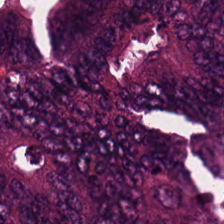FFPE. 224×224 px tile. H&E stain.
This field is colorectal adenocarcinoma.
